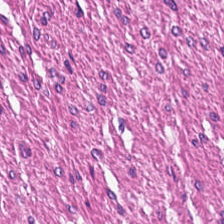20× equivalent magnification · hematoxylin-and-eosin stained section.
The tissue class is smooth-muscle tissue.
